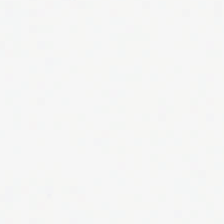H&E-stained tissue section.
The content is no tissue.
